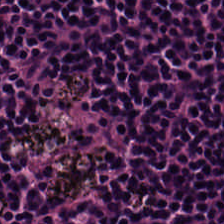Tissue — lymphoid infiltrate.
